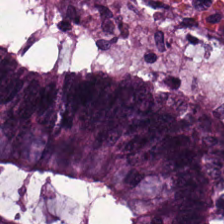H&E stain · 20× equivalent magnification. Q: What is shown in this field?
A: The field shows adenocarcinoma.
